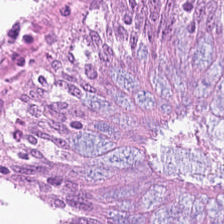Hematoxylin-and-eosin section: benign colonic mucosa.
